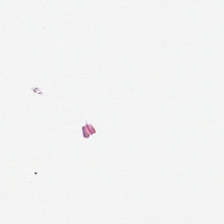Stain: H&E-stained tissue section.
Content: empty background.
